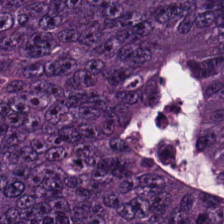FFPE · hematoxylin-and-eosin stained section · 20× equivalent magnification.
Showing colorectal adenocarcinoma epithelium.
